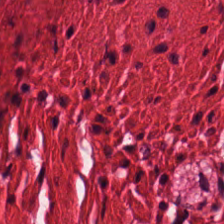H&E — Showing muscularis.
